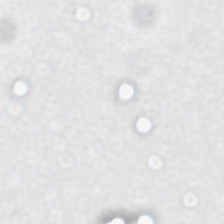Classification = empty background.
